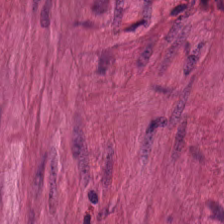224×224 px tile · hematoxylin-and-eosin stained section.
{"tissue_type": "smooth muscle"}
